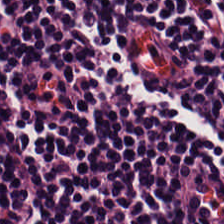H&E stain. The classification is lymphocytic infiltrate.
